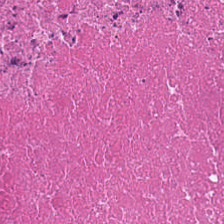The predominant tissue is debris.
